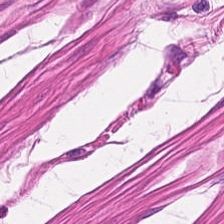Hematoxylin-and-eosin stained section; brightfield microscopy — Tissue type: smooth-muscle tissue.
